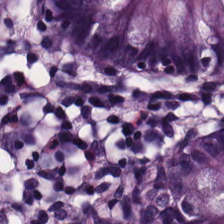224×224 pixel tile. H&E-stained tissue section. 0.5 µm per pixel — Q: What type of tissue is this?
A: The field shows normal colonic mucosa.
